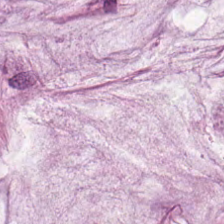H&E · 224×224 px tile.
Tissue: mucin.
